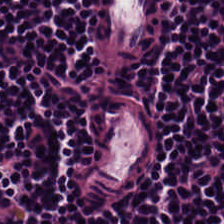Hematoxylin-and-eosin stained section. Predominant tissue = lymphocyte aggregate.
